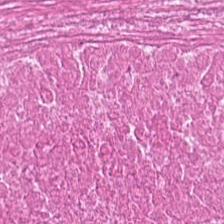0.5 microns per pixel. H&E stain.
Tissue class: debris.
